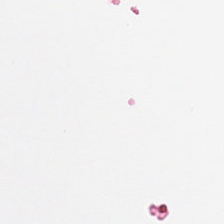224×224 pixel tile · H&E-stained tissue section · 20× equivalent magnification.
This field is background (no tissue).
